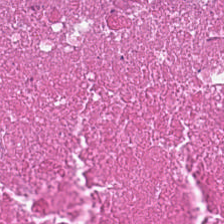0.5 microns per pixel. Hematoxylin and eosin. Q: What type of tissue is this?
A: The field shows cellular debris.
